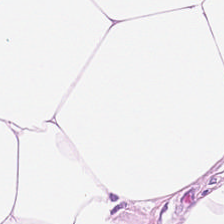224×224 px tile; hematoxylin-and-eosin stained section.
This field is adipose tissue.
